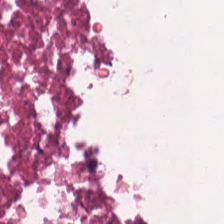20× equivalent magnification. Hematoxylin and eosin — Predominantly necrotic debris.
